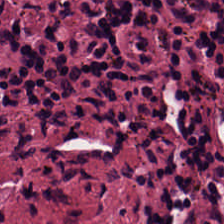Histology → lymphocytes.
